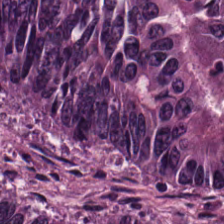Stain: hematoxylin and eosin.
Predominant tissue: malignant epithelium.
